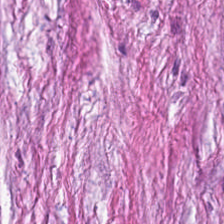Q: Classify this patch.
A: The field shows desmoplastic stroma.
